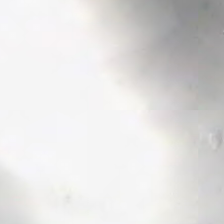Hematoxylin-and-eosin stained section — Background — no tissue in this field.
